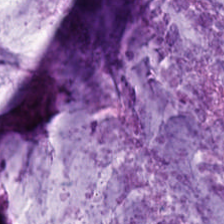{"tissue_type": "mucus"}
